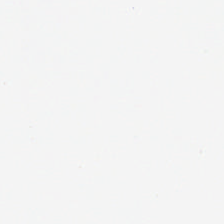Hematoxylin-and-eosin stained section — Background — no tissue in this field.
